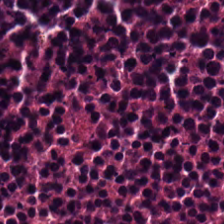{"tissue_type": "debris"}
